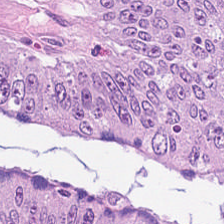H&E stain — This field is adenocarcinoma.
